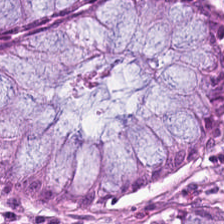This field is normal colon mucosa.
